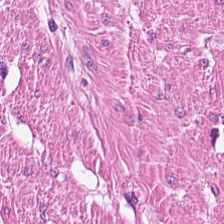H&E stain.
{"tissue_type": "smooth-muscle tissue"}
